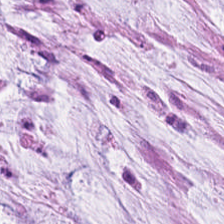Hematoxylin-and-eosin stained section. 224×224 px tile — The predominant tissue is mucus.
